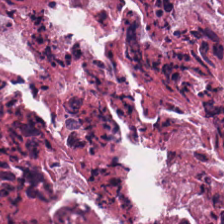H&E-stained tissue section; 224×224 pixel tile; whole-slide-image patch. The predominant tissue is debris.
